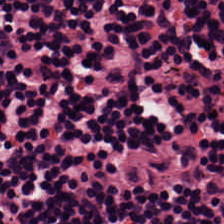Stain: H&E.
Resolution: 0.5 µm per pixel.
Classification: lymphocyte aggregate.
